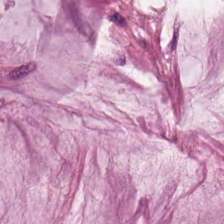Stain: hematoxylin-and-eosin stained section.
Tissue type: mucin.
